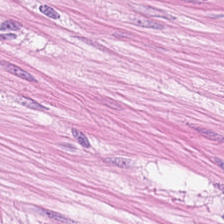Hematoxylin-and-eosin stained section; 224×224 px tile — Tissue type = smooth muscle.
